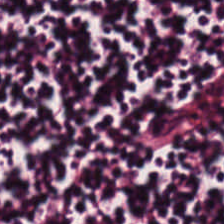224×224 pixel tile · H&E stain · FFPE tissue section.
Showing lymphoid infiltrate.
